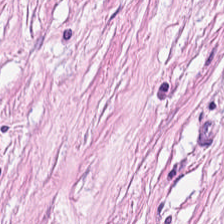Hematoxylin-and-eosin section: cancer-associated stroma.
